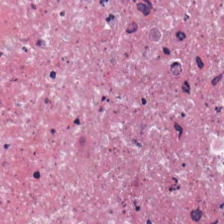Hematoxylin-and-eosin stained section — This field is debris.
